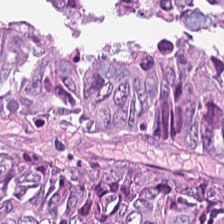Brightfield microscopy; H&E — Q: What is shown here?
A: Colorectal adenocarcinoma.
